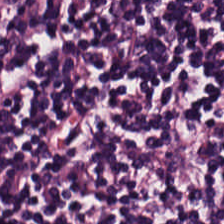Hematoxylin and eosin; brightfield microscopy. Predominantly lymphocytes.
